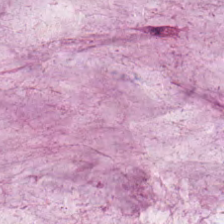Hematoxylin-and-eosin stained section. 224×224 px patch. This field is extracellular mucin.
